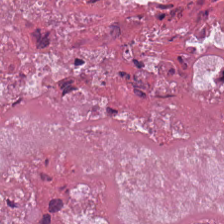Stain: hematoxylin and eosin.
Tissue class: necrotic debris.
